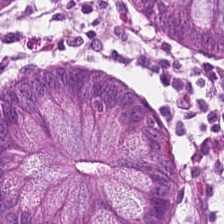The predominant tissue is non-neoplastic colon mucosa.
